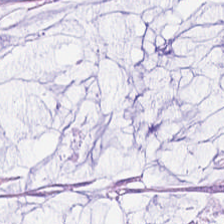Stain: hematoxylin and eosin.
Tissue class: mucus.
